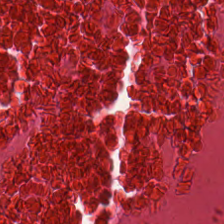H&E stain — Predominantly necrotic debris.
